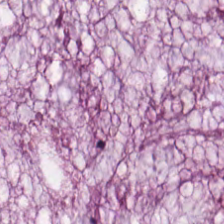H&E-stained tissue section.
Tissue — mucin.
